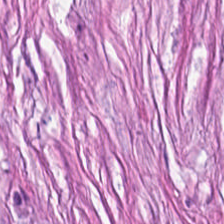Stain: H&E.
Tile size: 224×224 pixel tile.
Preparation: FFPE tissue section.
Tissue class: desmoplastic stroma.
